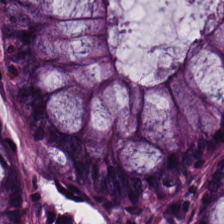Stain: H&E.
Predominant tissue: non-neoplastic colon mucosa.
